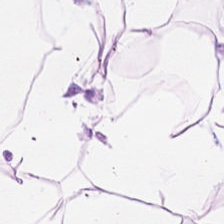Histology → adipose.
